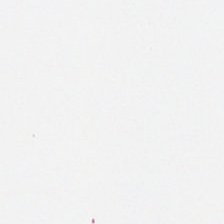224×224 px tile. H&E — Classification: background (no tissue).
